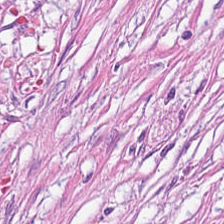H&E. The predominant tissue is tumor-associated stroma.
